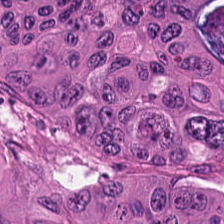H&E stain — Predominantly colorectal adenocarcinoma.
